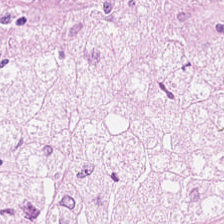The predominant tissue is cancer-associated stroma.
